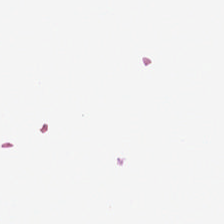0.5 µm per pixel · H&E.
No tissue present; background only.
